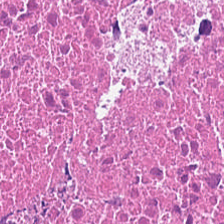224×224 pixel tile · hematoxylin and eosin. Finding — debris.
